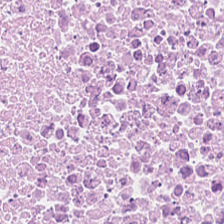0.5 µm per pixel; hematoxylin and eosin — The tissue here is necrotic debris.
